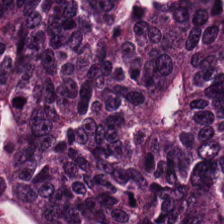Hematoxylin-and-eosin stained section. Predominantly colorectal adenocarcinoma.
